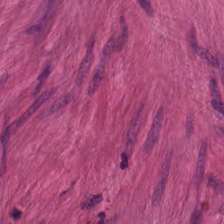Stain: H&E-stained tissue section.
Preparation: FFPE tissue section.
Classification: smooth muscle.
